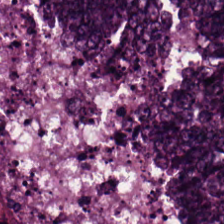Hematoxylin and eosin — Predominantly adenocarcinoma.
